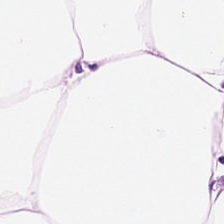H&E · 224×224 px patch — Predominant tissue: adipose.
